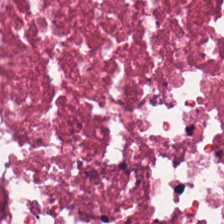H&E-stained tissue section; brightfield. The tissue here is debris.
